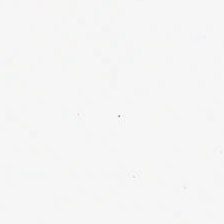Hematoxylin and eosin. The classification is no tissue.
